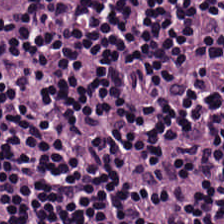Stain: H&E stain.
Preparation: FFPE.
Classification: lymphocytic infiltrate.
